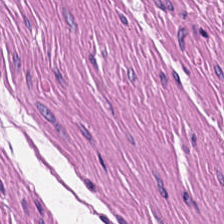Stain: H&E stain.
Predominant tissue: smooth-muscle tissue.
